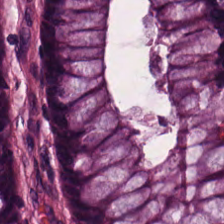Stain: hematoxylin-and-eosin stained section.
Tissue type: non-neoplastic colon mucosa.
